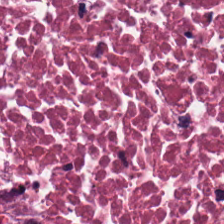0.5 µm per pixel. H&E.
This patch shows debris.
